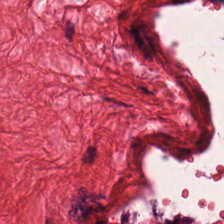H&E-stained tissue section; 224×224 px patch; whole-slide-image patch — Q: What is shown here?
A: It is smooth-muscle tissue.
